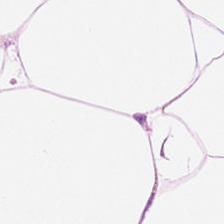Hematoxylin and eosin. 224×224 px tile — The predominant tissue is adipocytes.
